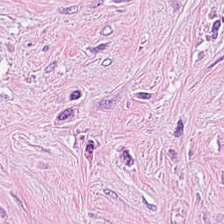Hematoxylin and eosin — {"tissue_type": "tumor stroma"}
